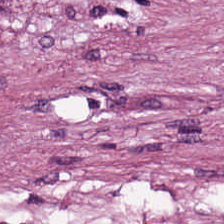224×224 pixel tile · H&E stain — Finding → desmoplastic stroma.
